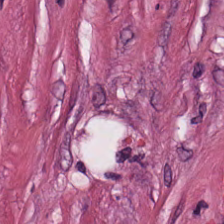H&E; 224×224 px tile. Predominantly tumor stroma.
